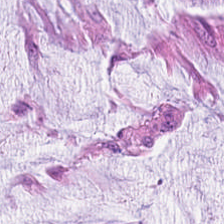The tissue here is mucin.
